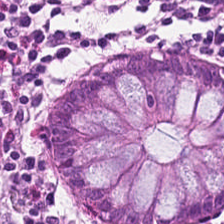H&E-stained tissue section. The tissue here is benign colonic mucosa.
